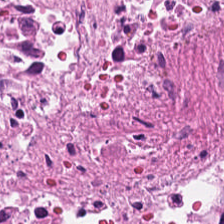Q: What is the predominant tissue type?
A: This is debris.
